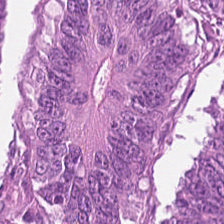Hematoxylin-and-eosin stained section; brightfield microscopy — Q: What does this patch show?
A: This is tumor epithelium.
